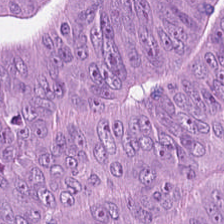Stain: H&E.
Preparation: FFPE tissue section.
Tissue type: adenocarcinoma.
